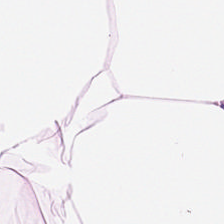Q: What does this patch show?
A: It is fat tissue.
